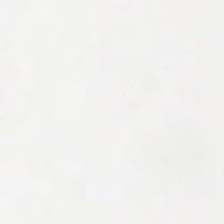Brightfield. Hematoxylin and eosin. 224×224 px tile — This patch shows background (no tissue).
